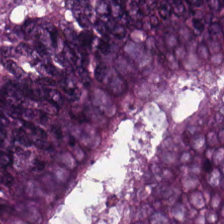H&E-stained tissue section showing colorectal adenocarcinoma.
